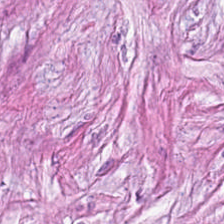0.5 microns per pixel. WSI patch. Hematoxylin-and-eosin stained section. Classification — cancer-associated stroma.
